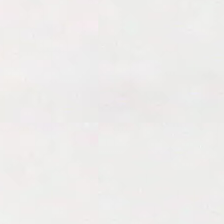H&E-stained tissue section · formalin-fixed paraffin-embedded section — Field content: background (no tissue).
